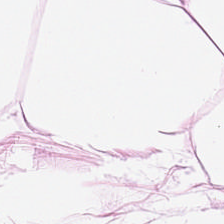FFPE; 0.5 µm per pixel; hematoxylin and eosin — Tissue type = adipocytes.
